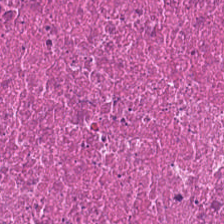0.5 µm per pixel · H&E — Necrotic debris.
